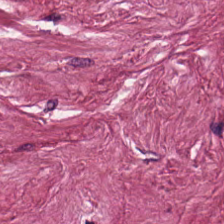Stain: H&E.
Classification: desmoplastic stroma.
